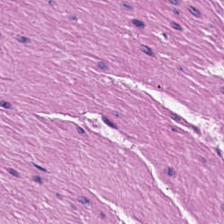H&E — This field is smooth muscle.
